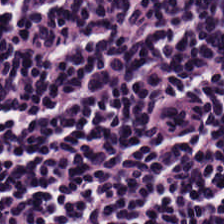Stain: H&E stain.
Classification: lymphocytic infiltrate.
